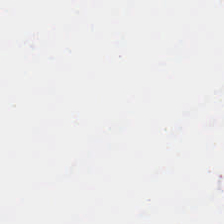H&E; 224×224 px tile.
Empty background.
